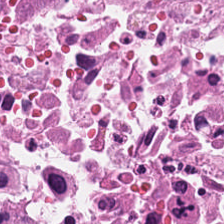Q: Classify this patch.
A: The field shows cellular debris.
